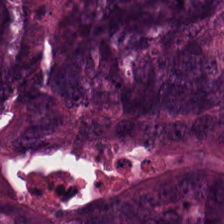H&E-stained tissue section. Whole-slide-image patch. 224×224 px tile — Histology — colorectal adenocarcinoma.
